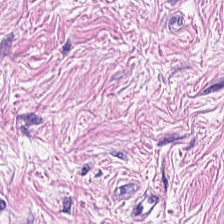H&E stain. 0.5 µm per pixel.
Predominant tissue = tumor stroma.
